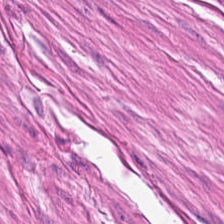H&E. Brightfield. 0.5 µm/px. Tissue type: muscularis.
